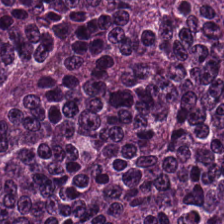H&E-stained tissue section — Showing colorectal adenocarcinoma epithelium.
